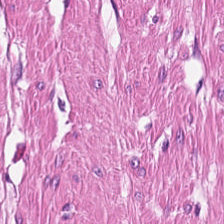H&E · formalin-fixed paraffin-embedded section — Tissue class: smooth muscle.
